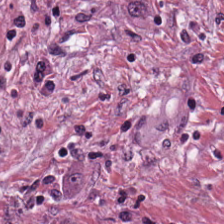0.5 µm/px; H&E stain; brightfield microscopy. Predominant tissue = desmoplastic stroma.
